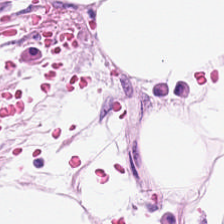Hematoxylin and eosin · 0.5 µm/px · 224×224 px tile. {"tissue_type": "adipose"}
